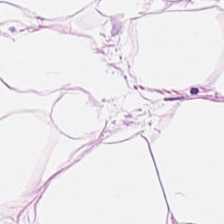Hematoxylin-and-eosin stained section. Q: Identify the tissue.
A: Adipocytes.
